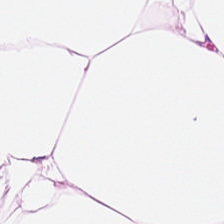The tissue is adipose.
